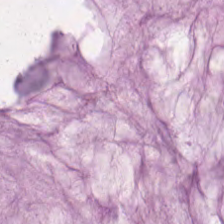Formalin-fixed paraffin-embedded section. Hematoxylin-and-eosin stained section. 224×224 pixel tile.
Tissue: extracellular mucin.
